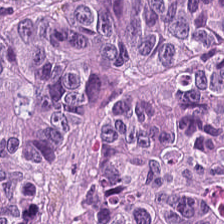Hematoxylin-and-eosin stained section. Predominantly malignant epithelium.
